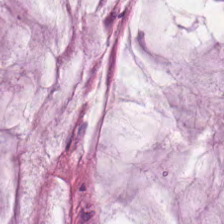Tissue: mucus.
